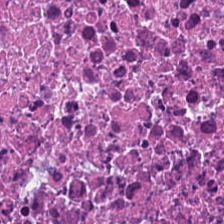H&E — Showing necrotic debris.
